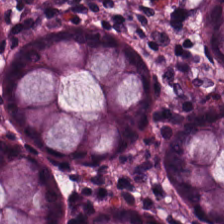H&E stain; brightfield — This field is normal colon mucosa.
